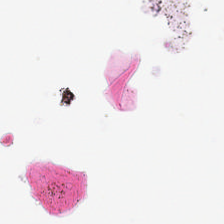Stain: H&E.
Tile size: 224×224 px tile.
Acquisition: brightfield microscopy.
Field content: background.
